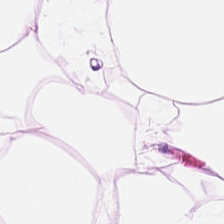H&E. 224×224 px tile.
Tissue class: adipose.
